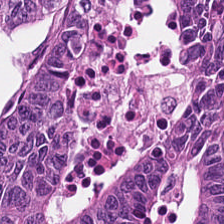H&E-stained tissue section — The tissue is adenocarcinoma.
